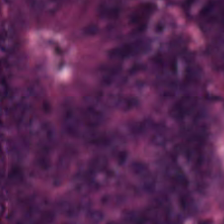H&E-stained tissue section. 0.5 µm/px — Tissue type = colorectal adenocarcinoma epithelium.
